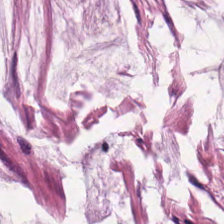Hematoxylin and eosin — The tissue type is extracellular mucin.
